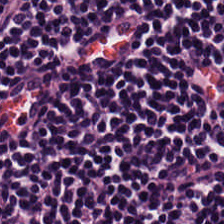H&E-stained tissue section; 0.5 microns per pixel. The tissue type is lymphocytes.
